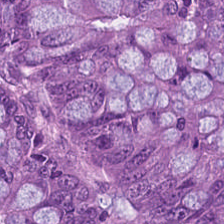The classification is colorectal adenocarcinoma epithelium.
